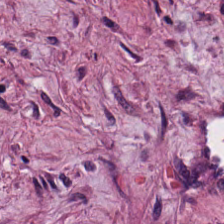H&E; brightfield; 0.5 µm/px.
The classification is cancer-associated stroma.
